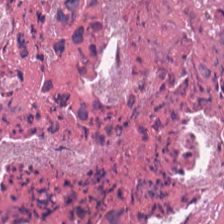H&E.
Q: What tissue is shown?
A: The field shows necrotic debris.
